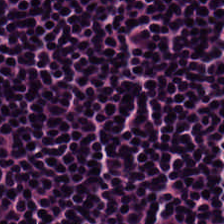Stain: H&E.
Predominant tissue: lymphocytes.
